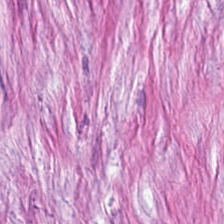0.5 µm/px · H&E-stained tissue section · 224×224 pixel tile. Q: What is shown in this field?
A: Tumor stroma.
